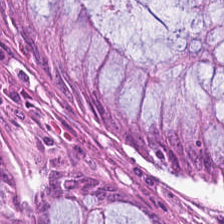0.5 µm/px. Whole-slide-image patch. Hematoxylin and eosin — The tissue here is benign colonic mucosa.
